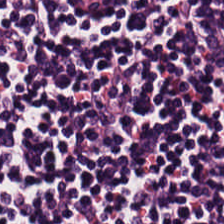Brightfield microscopy. H&E-stained tissue section. 224×224 px patch. Q: What does this patch show?
A: The field shows lymphocyte aggregate.
